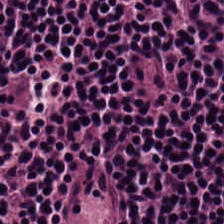Hematoxylin and eosin; brightfield microscopy. Impression — lymphocyte aggregate.
